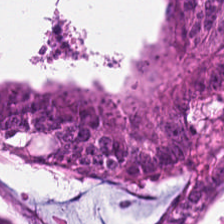Hematoxylin and eosin. FFPE — Predominant tissue = malignant epithelium.
